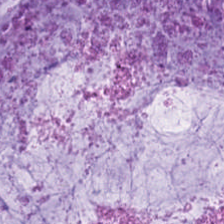Hematoxylin-and-eosin stained section.
Predominantly extracellular mucin.
